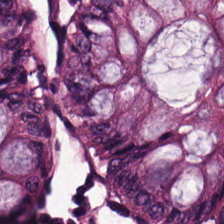H&E-stained tissue section — Impression → normal colon mucosa.
